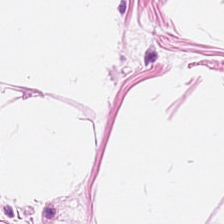Stain: H&E-stained tissue section.
Tile size: 224×224 pixel tile.
Predominant tissue: fat tissue.
